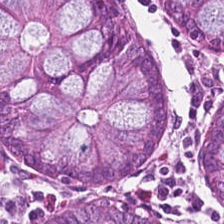Hematoxylin-and-eosin stained section. The tissue type is normal colon mucosa.
